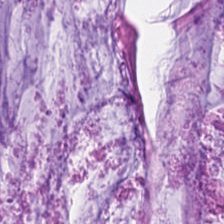Stain: H&E-stained tissue section.
Classification: mucus.
